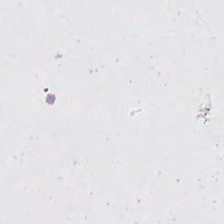Hematoxylin-and-eosin stained section · 0.5 µm/px.
Classification — background.
